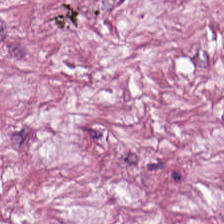Whole-slide-image patch · H&E-stained tissue section.
Predominantly tumor stroma.
